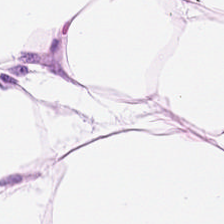FFPE tissue section. H&E stain.
Adipocytes.
